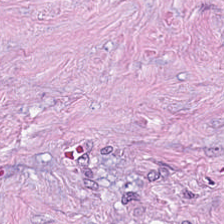H&E-stained tissue section showing tumor-associated stroma.
